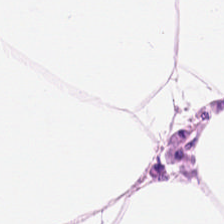224×224 px tile; H&E-stained tissue section. Tissue class = fat tissue.
